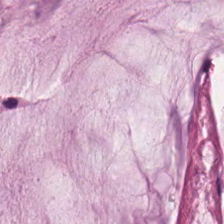Hematoxylin-and-eosin stained section.
Classification: mucus.
